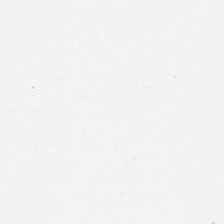Hematoxylin and eosin.
Empty field — empty background.
